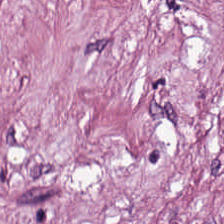Hematoxylin and eosin — Showing tumor-associated stroma.
